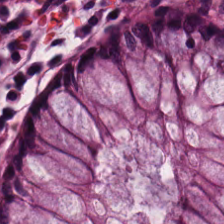20× equivalent magnification; WSI patch; hematoxylin-and-eosin stained section.
Histology → benign colonic mucosa.
